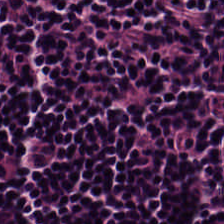H&E-stained tissue section — Q: What is the predominant tissue type?
A: It is lymphocytes.
